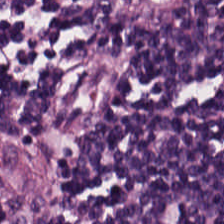H&E stain. Predominant tissue = lymphocytic infiltrate.
